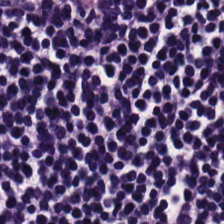Hematoxylin and eosin — Lymphocyte aggregate.
